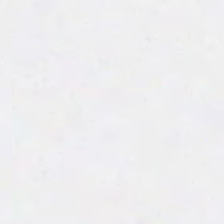Background — no tissue in this field.
